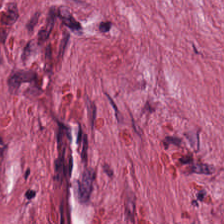H&E stain — Classification = desmoplastic stroma.
